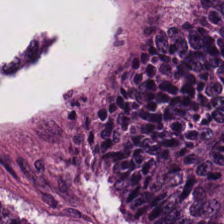Hematoxylin and eosin — Q: What does this patch show?
A: It is tumor epithelium.
